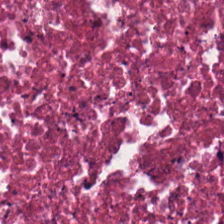Brightfield microscopy; H&E. Showing debris.
